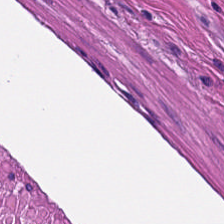H&E.
Q: What does this patch show?
A: It is smooth muscle.
